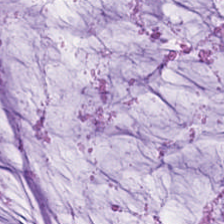Formalin-fixed paraffin-embedded section · hematoxylin and eosin · 20× equivalent magnification.
Predominantly mucin.
